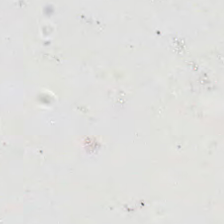Hematoxylin-and-eosin stained section.
The field content is no tissue.
